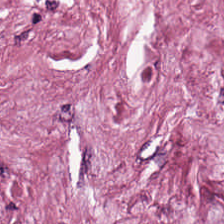H&E · formalin-fixed paraffin-embedded section · brightfield. Q: What is shown in this field?
A: Tumor-associated stroma.
